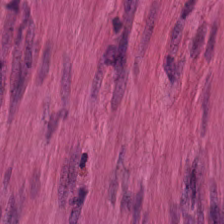H&E-stained tissue section. Smooth-muscle tissue.
